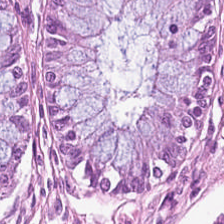Stain: H&E stain.
Tissue class: normal colon mucosa.
